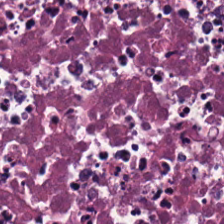Finding → debris.
